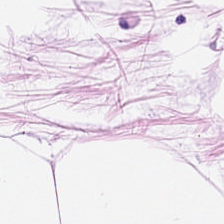224×224 px patch. Hematoxylin-and-eosin stained section.
Q: What is shown in this field?
A: It is adipose.
